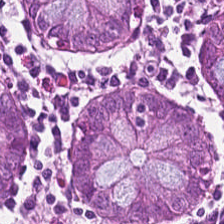Hematoxylin-and-eosin stained section — This patch shows non-neoplastic colon mucosa.
